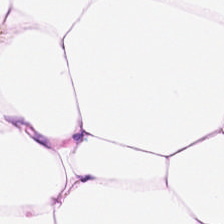Hematoxylin-and-eosin stained section. Classification: fat tissue.
